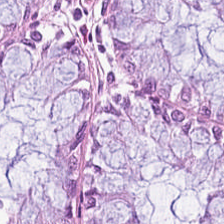224×224 pixel tile · 0.5 microns per pixel · H&E-stained tissue section.
{"tissue_type": "non-neoplastic colon mucosa"}
